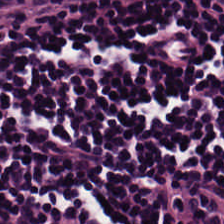Stain: H&E-stained tissue section.
Tile size: 224×224 px tile.
Classification: lymphocyte aggregate.
